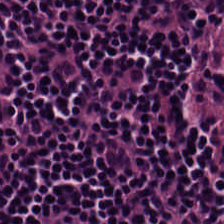The tissue class is lymphocytes.
